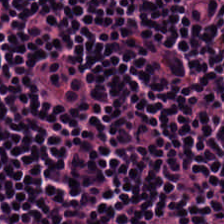H&E-stained tissue section showing lymphocytes.
